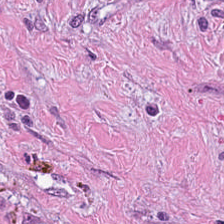H&E — Tissue = cancer-associated stroma.
